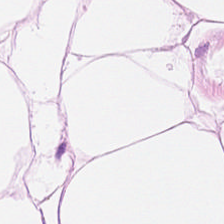Stain: H&E.
Tile size: 224×224 pixel tile.
Tissue class: fat tissue.
